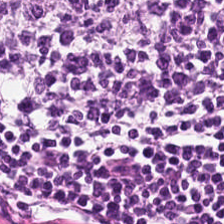H&E-stained tissue section. Showing lymphoid infiltrate.
